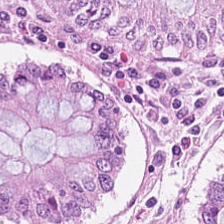Hematoxylin-and-eosin stained section. The predominant tissue is normal colon mucosa.
